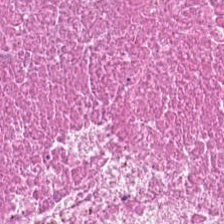Stain: H&E stain.
Tissue class: necrotic debris.
